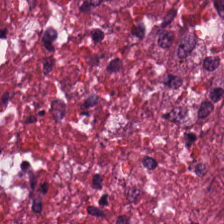H&E patch showing debris.
